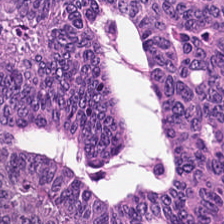Hematoxylin-and-eosin stained section · 0.5 µm per pixel.
Colorectal adenocarcinoma.
